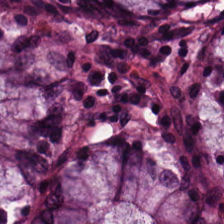Predominantly benign colonic mucosa.
